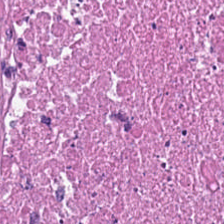H&E-stained tissue section. The classification is cellular debris.
